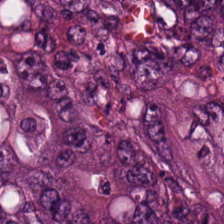Hematoxylin and eosin.
The predominant tissue is adenocarcinoma.
